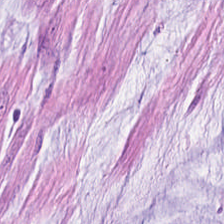The tissue here is extracellular mucin.
